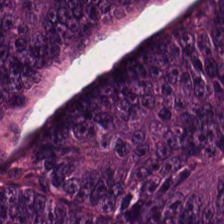Whole-slide-image patch. FFPE tissue section. Hematoxylin and eosin.
This patch shows malignant epithelium.
